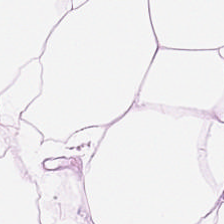224×224 px patch · hematoxylin-and-eosin stained section — This patch shows adipocytes.
